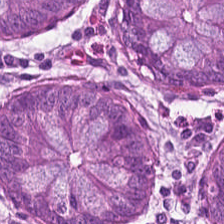This patch shows normal colonic mucosa.
